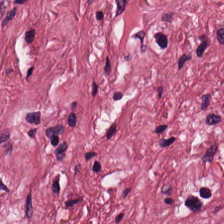Stain: hematoxylin-and-eosin stained section.
Tissue: tumor stroma.
